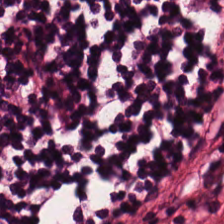H&E stain. Showing lymphocyte aggregate.
